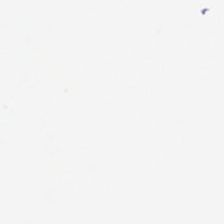Background — no tissue in this field.
